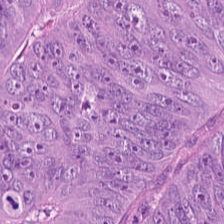{"tissue_type": "colorectal adenocarcinoma"}
